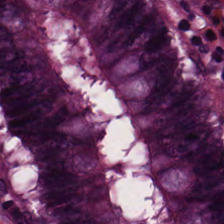20× equivalent magnification. H&E stain.
Q: What type of tissue is this?
A: The field shows normal colonic mucosa.
